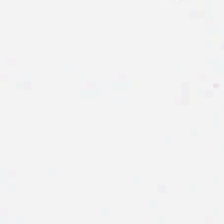Hematoxylin-and-eosin stained section.
No tissue present; background only.
